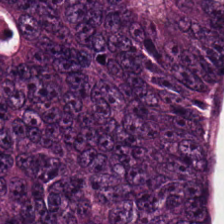Hematoxylin and eosin. Showing adenocarcinoma.
